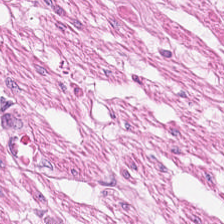H&E. Q: What is shown in this field?
A: This is muscularis.
